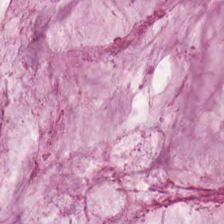H&E — Impression → mucus.
